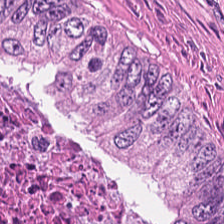H&E-stained tissue section.
This patch shows necrotic debris.
